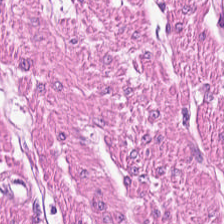Stain: hematoxylin and eosin.
Tissue type: smooth-muscle tissue.
